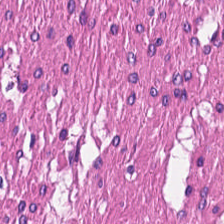Predominantly muscularis.
